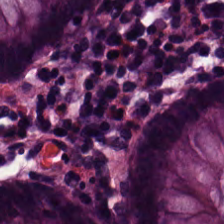H&E-stained tissue section.
Classification: non-neoplastic colon mucosa.
